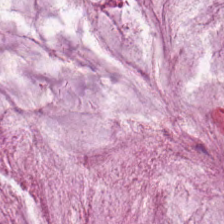H&E patch showing extracellular mucin.
